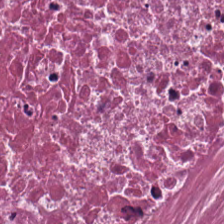H&E stain. The predominant tissue is cellular debris.
